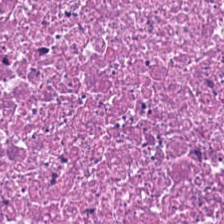Stain: hematoxylin-and-eosin stained section.
Preparation: FFPE.
Tile size: 224×224 pixel tile.
Tissue class: necrotic debris.
